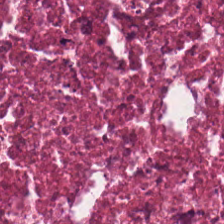224×224 pixel tile · hematoxylin and eosin — Tissue type: cellular debris.
